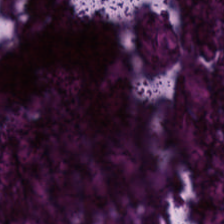H&E — debris.
